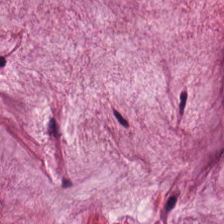H&E-stained section; the field shows mucus.
